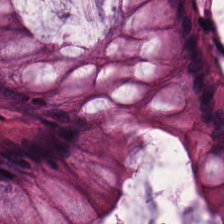Stain: H&E.
Classification: benign colonic mucosa.
